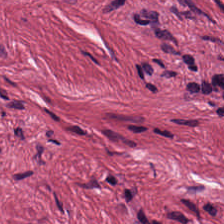H&E-stained tissue section.
{"tissue_type": "desmoplastic stroma"}
